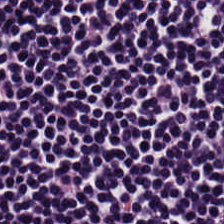Hematoxylin and eosin. Q: What is shown here?
A: This is lymphocytic infiltrate.
